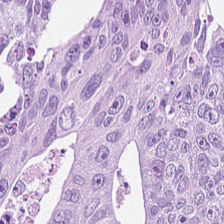224×224 pixel tile; H&E stain — Colorectal adenocarcinoma.
